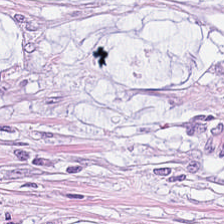Hematoxylin-and-eosin stained section.
{"tissue_type": "mucus"}
